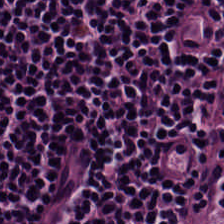Hematoxylin-and-eosin stained section — Histology → lymphocyte aggregate.
